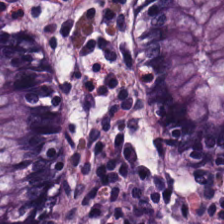Formalin-fixed paraffin-embedded section · H&E-stained tissue section · 0.5 µm per pixel — Tissue type: normal colonic mucosa.
